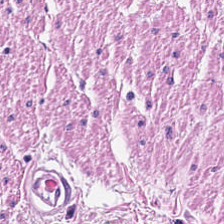H&E.
The predominant tissue is smooth muscle.
